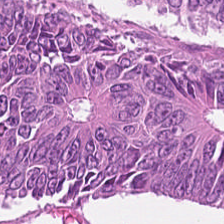Whole-slide-image patch · H&E stain — The predominant tissue is colorectal adenocarcinoma.
